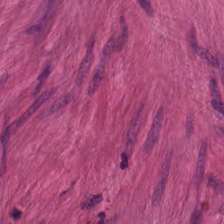Hematoxylin and eosin. This patch shows smooth-muscle tissue.
